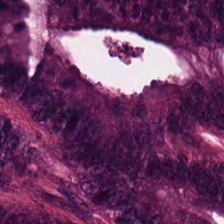Hematoxylin-and-eosin stained section.
Predominant tissue = adenocarcinoma.
